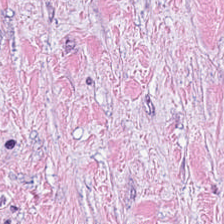Hematoxylin and eosin; 224×224 pixel tile; 0.5 µm/px — The predominant tissue is cancer-associated stroma.
